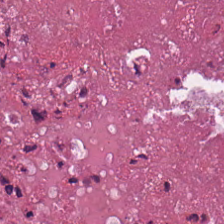Hematoxylin-and-eosin stained section.
Predominantly debris.
